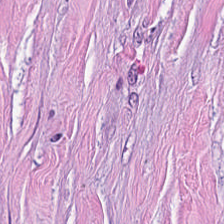Hematoxylin and eosin. 224×224 pixel tile — Tissue class — cancer-associated stroma.
